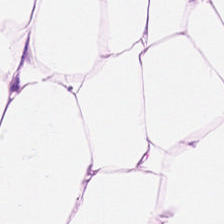H&E. 0.5 µm per pixel — This field is adipose.
